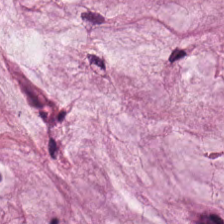Showing mucin.
